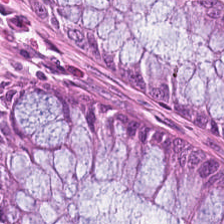Finding → normal colon mucosa.
